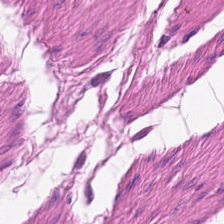224×224 px patch. H&E stain.
Classification = muscularis.
